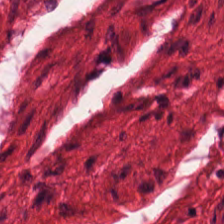FFPE tissue section. H&E-stained tissue section — Finding — smooth muscle.
